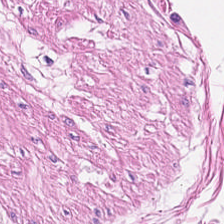FFPE tissue section · hematoxylin-and-eosin stained section · 224×224 px tile. Showing muscularis.
